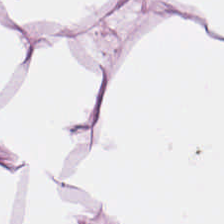Hematoxylin and eosin — Predominantly adipose tissue.
